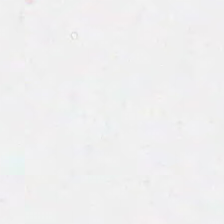Brightfield · 20× equivalent magnification · H&E-stained tissue section. Classification — background (no tissue).
